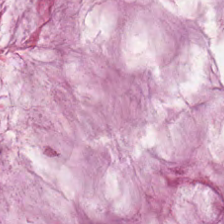The tissue here is mucin.
